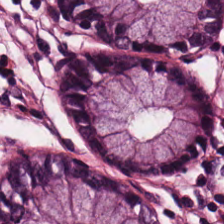Q: What is shown in this field?
A: This is normal colon mucosa.
